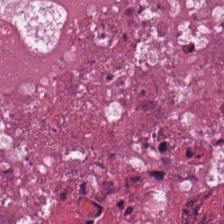Predominant tissue: necrotic debris.
